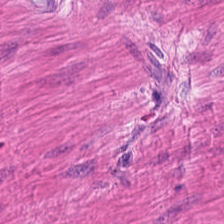Histology → smooth muscle.
